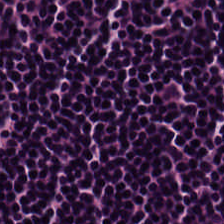H&E — lymphoid infiltrate.
